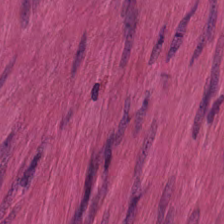H&E — Histology — smooth-muscle tissue.
